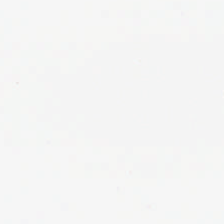Empty field — no tissue.
